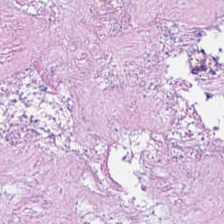H&E patch showing cellular debris.
